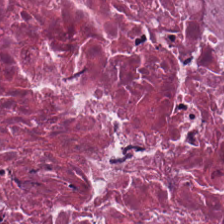224×224 px patch · H&E-stained tissue section.
Q: What tissue type is shown here?
A: The field shows necrotic debris.
